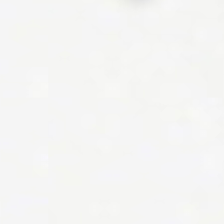Hematoxylin-and-eosin stained section · whole-slide-image patch. Background (no tissue).
